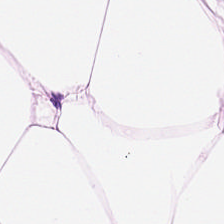Hematoxylin-and-eosin stained section · 224×224 px patch · brightfield microscopy — The tissue type is adipose tissue.
